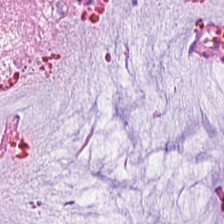Extracellular mucin.
